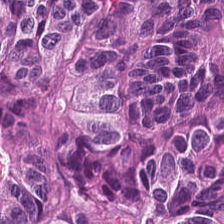0.5 µm/px · H&E-stained tissue section · formalin-fixed paraffin-embedded section — Predominant tissue = tumor epithelium.
